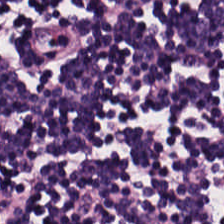H&E-stained tissue section showing lymphocyte aggregate.
